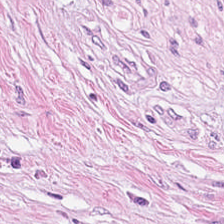H&E-stained tissue section.
Q: Classify this patch.
A: The field shows tumor stroma.
